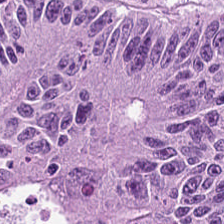H&E stain. Formalin-fixed paraffin-embedded section — Adenocarcinoma.
